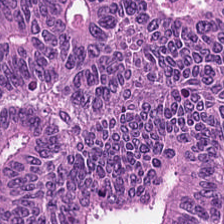This patch shows colorectal adenocarcinoma epithelium.
